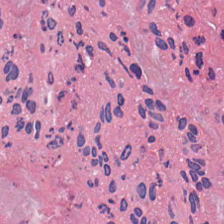H&E patch showing debris.
